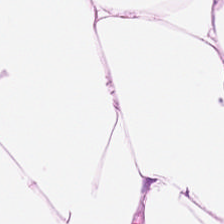H&E stain · 0.5 µm/px.
Tissue type: adipocytes.
